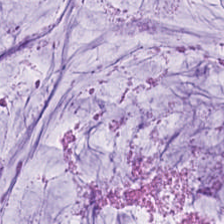Stain: H&E stain.
Resolution: 20× equivalent magnification.
Tile size: 224×224 px patch.
Classification: mucin.
